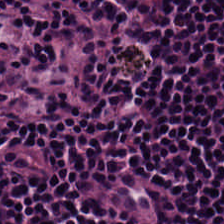H&E stain — This patch shows lymphocytes.
